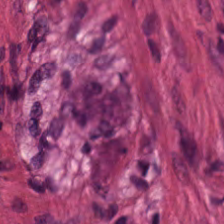FFPE tissue section · hematoxylin and eosin · 20× equivalent magnification — This patch shows muscularis.
